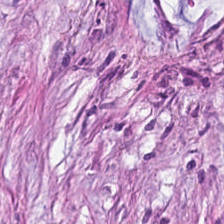FFPE; H&E-stained tissue section — The tissue type is cancer-associated stroma.
